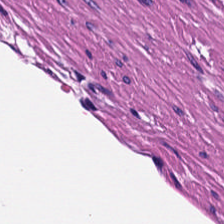H&E-stained tissue section — Tissue class: smooth muscle.
